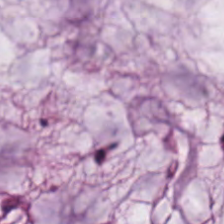Hematoxylin-and-eosin section: mucin.
